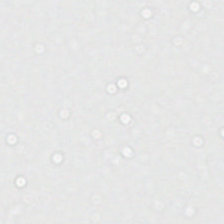Stain: H&E-stained tissue section.
Content: no tissue.
